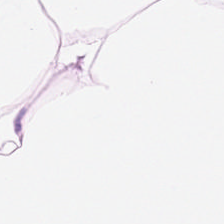Predominant tissue: adipose tissue.
